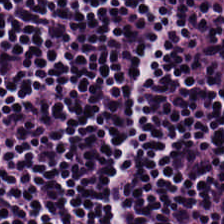H&E-stained tissue section. Lymphoid infiltrate.
